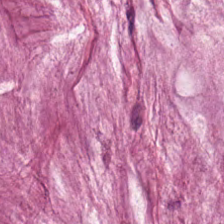224×224 pixel tile · hematoxylin and eosin · 0.5 µm per pixel.
Tissue class — mucus.
